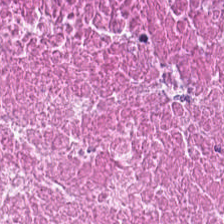H&E stain; whole-slide-image patch; 224×224 px tile. Classification: debris.
